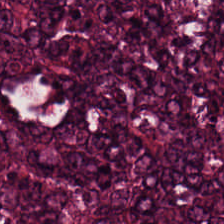Stain: H&E.
Tissue: adenocarcinoma.
